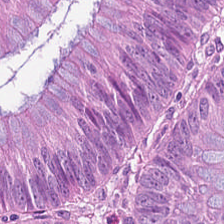H&E stain — The tissue here is malignant epithelium.
